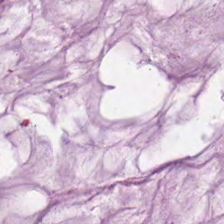H&E stain — The tissue here is mucin.
